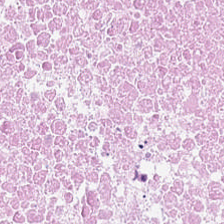FFPE tissue section. Hematoxylin-and-eosin stained section.
Necrotic debris.
